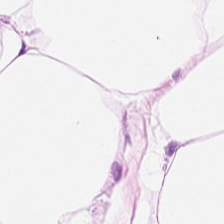Hematoxylin-and-eosin stained section. FFPE.
Tissue class = adipose.
